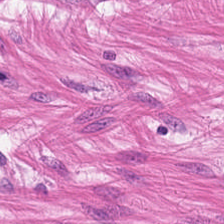H&E.
This patch shows muscularis.
